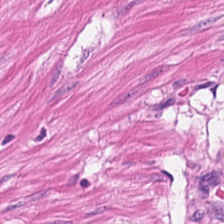0.5 µm per pixel; H&E-stained tissue section. Q: What type of tissue is this?
A: Smooth muscle.
